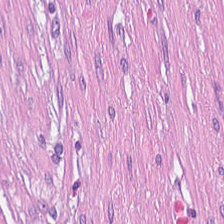Hematoxylin and eosin; 224×224 px patch — The predominant tissue is cancer-associated stroma.
